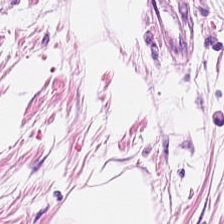This field is fat tissue.
